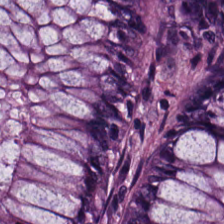H&E-stained tissue section; FFPE tissue section — Predominantly benign colonic mucosa.
